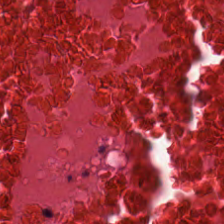Tissue: cellular debris.
